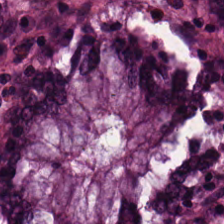Hematoxylin and eosin — {"tissue_type": "benign colonic mucosa"}
